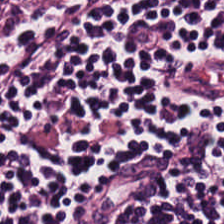Hematoxylin and eosin · 224×224 px tile · 0.5 µm/px.
Tissue type = lymphoid infiltrate.
